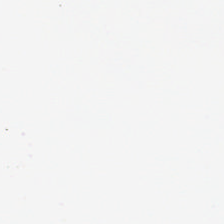Background — no tissue in this field.
